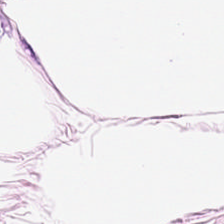Hematoxylin-and-eosin stained section — The tissue type is adipocytes.
